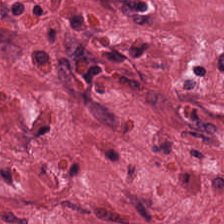H&E stain. 0.5 microns per pixel. 224×224 px patch.
Q: What is shown here?
A: It is desmoplastic stroma.
